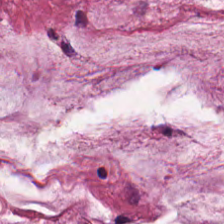Hematoxylin-and-eosin stained section. Brightfield microscopy.
Impression → extracellular mucin.
